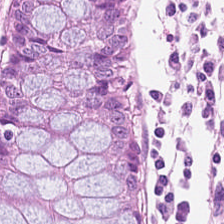H&E-stained tissue section — Tissue type: non-neoplastic colon mucosa.
